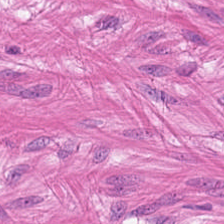H&E-stained tissue section; 0.5 µm/px; brightfield microscopy. Showing smooth muscle.
